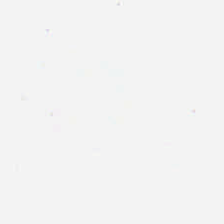Q: What does this patch show?
A: Background.
